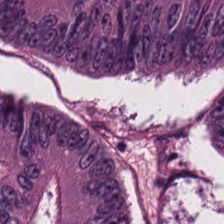H&E-stained tissue section — The predominant tissue is colorectal adenocarcinoma epithelium.
